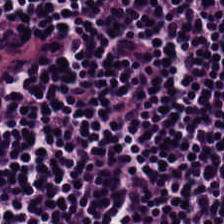224×224 pixel tile; 0.5 microns per pixel; H&E stain — Q: What is the predominant tissue type?
A: This is lymphoid infiltrate.
